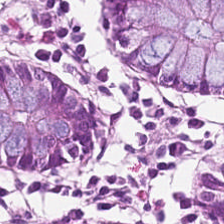The tissue here is normal colonic mucosa.
